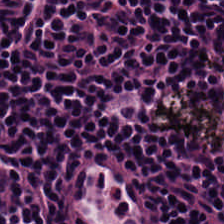224×224 px tile. H&E-stained tissue section. This field is lymphoid infiltrate.
